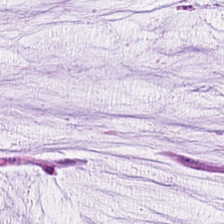224×224 px tile; H&E-stained tissue section. Predominantly extracellular mucin.
